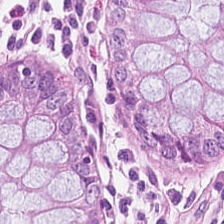Q: What is shown in this field?
A: This is non-neoplastic colon mucosa.
